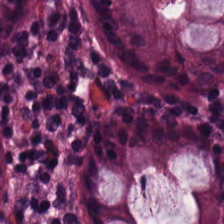H&E.
Showing normal colon mucosa.
